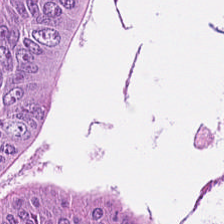H&E-stained tissue section showing colorectal adenocarcinoma.
